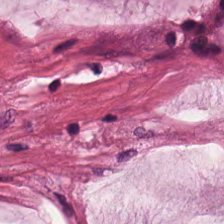Hematoxylin and eosin — The tissue is extracellular mucin.
